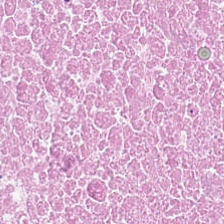H&E.
Tissue class — necrotic debris.
